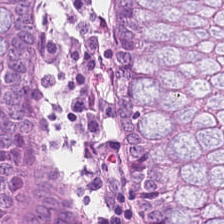224×224 pixel tile; H&E stain; FFPE — {"tissue_type": "normal colon mucosa"}
